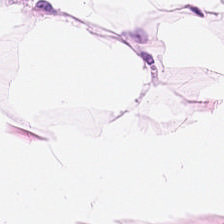H&E. Q: What is shown here?
A: The field shows adipocytes.
